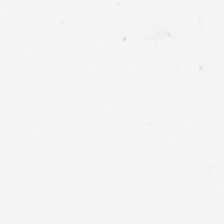Background — no tissue in this field.
